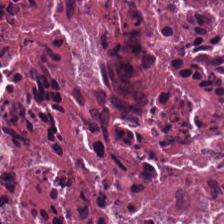Showing necrotic debris.
